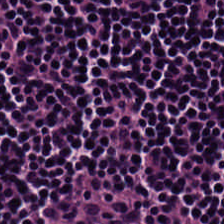H&E · FFPE tissue section. Q: What type of tissue is this?
A: It is lymphoid infiltrate.
